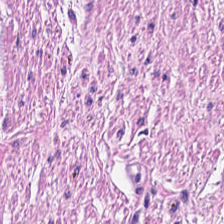Stain: hematoxylin and eosin.
Tissue type: smooth muscle.
